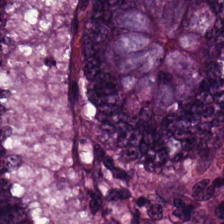H&E stain. Q: What tissue type is shown here?
A: This is tumor epithelium.
